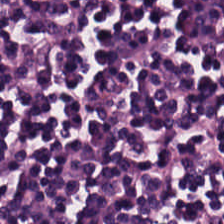Stain: H&E stain.
Tile size: 224×224 pixel tile.
Acquisition: brightfield microscopy.
Tissue class: lymphoid infiltrate.
